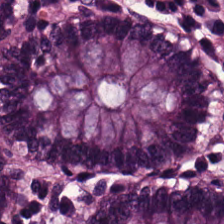Hematoxylin-and-eosin stained section. Showing normal colonic mucosa.
